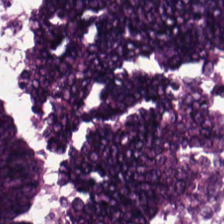Stain: H&E.
Acquisition: whole-slide-image patch.
Tissue type: tumor epithelium.
